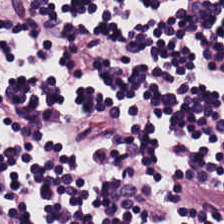Stain: hematoxylin and eosin.
Acquisition: brightfield microscopy.
Preparation: FFPE.
Tissue type: lymphocytes.
